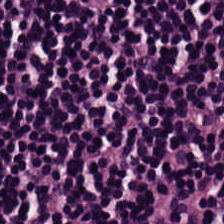Hematoxylin and eosin. 0.5 µm per pixel — Tissue class = lymphocytes.
